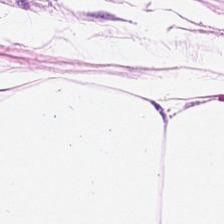224×224 px tile · hematoxylin-and-eosin stained section — {"tissue_type": "adipose"}
